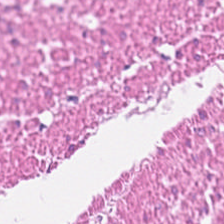0.5 microns per pixel; hematoxylin-and-eosin stained section; brightfield microscopy. Tissue type — smooth-muscle tissue.
